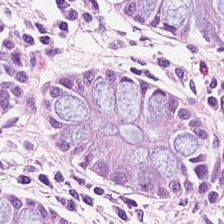H&E stain. The predominant tissue is non-neoplastic colon mucosa.
